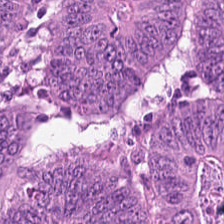Impression → tumor epithelium.
